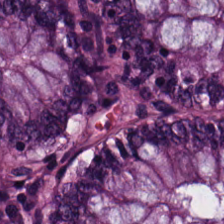H&E.
Predominantly benign colonic mucosa.
